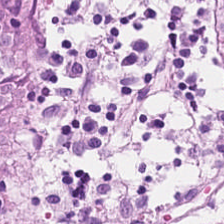Hematoxylin-and-eosin stained section. Formalin-fixed paraffin-embedded section. Q: What tissue type is shown here?
A: Benign colonic mucosa.
